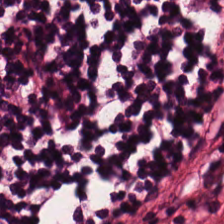Whole-slide-image patch. H&E — Lymphoid infiltrate.
